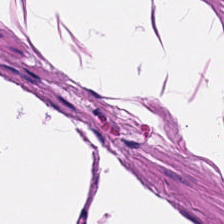Hematoxylin and eosin.
Tissue class — muscularis.
